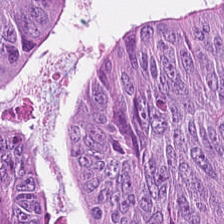Stain: H&E-stained tissue section.
Acquisition: brightfield.
Classification: tumor epithelium.
